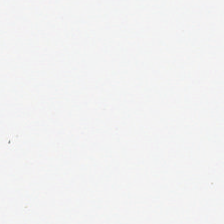Classification — no tissue.
